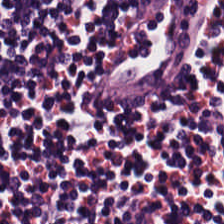Brightfield · H&E stain.
Q: What is shown in this field?
A: This is lymphocytes.
